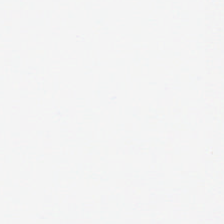Q: What is shown here?
A: It is background.
